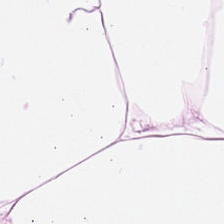{"tissue_type": "adipose tissue"}
